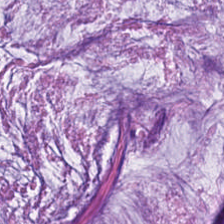224×224 px patch. H&E stain. Brightfield microscopy — The predominant tissue is extracellular mucin.
